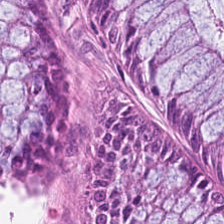Classification — normal colon mucosa.
